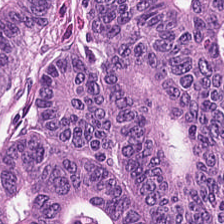Hematoxylin and eosin — Predominantly colorectal adenocarcinoma epithelium.
